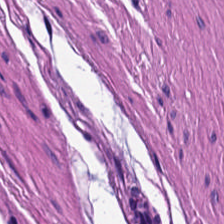H&E. The classification is smooth muscle.
